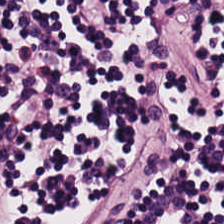FFPE tissue section · 0.5 µm/px · H&E stain.
This field is lymphoid infiltrate.
